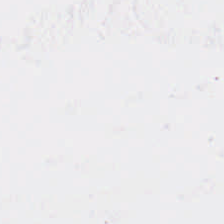H&E stain.
Field content — background (no tissue).
